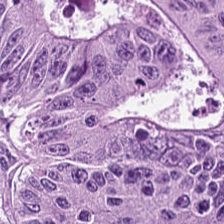H&E.
Colorectal adenocarcinoma.
